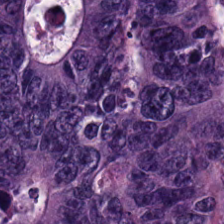H&E-stained tissue section; 224×224 px tile.
Tissue class — tumor epithelium.
